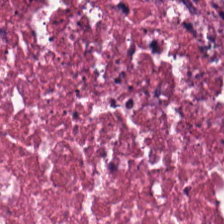This patch shows debris.
